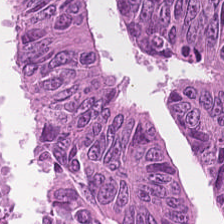Hematoxylin-and-eosin stained section. Classification: adenocarcinoma.
